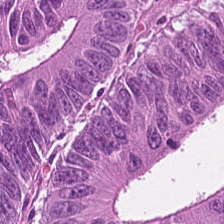Hematoxylin-and-eosin stained section; 0.5 µm/px; whole-slide-image patch. Predominant tissue = malignant epithelium.
